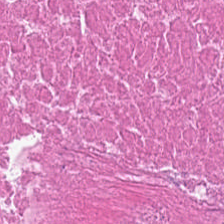Q: What tissue type is shown here?
A: Debris.
